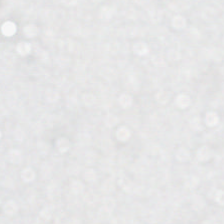H&E — No tissue.
